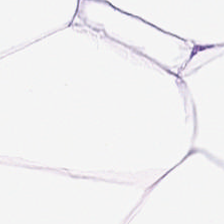Hematoxylin and eosin.
Tissue — adipose.
